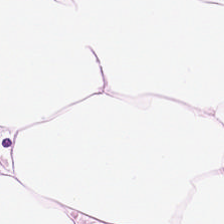0.5 µm per pixel. H&E stain. 224×224 px patch — Q: What is shown in this field?
A: The field shows adipose tissue.
